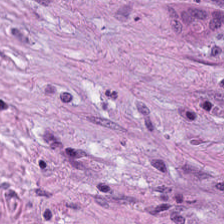Brightfield · hematoxylin-and-eosin stained section.
Tissue class: cancer-associated stroma.
